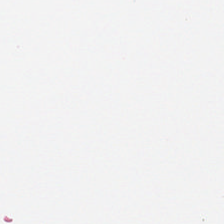H&E-stained tissue section.
Histology — background (no tissue).
